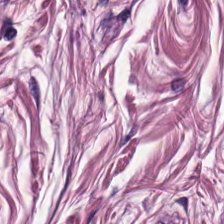Smooth-muscle tissue.
